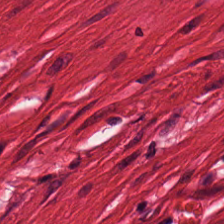H&E-stained tissue section.
The tissue class is smooth muscle.
